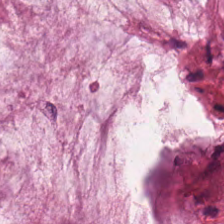0.5 microns per pixel. H&E-stained tissue section.
Q: Classify this patch.
A: This is mucin.
